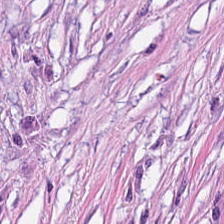FFPE tissue section · H&E-stained tissue section. {"tissue_type": "cancer-associated stroma"}
